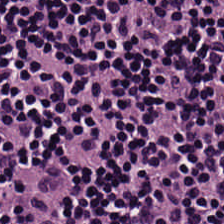Q: Identify the tissue.
A: This is lymphocytic infiltrate.
